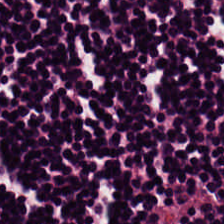FFPE tissue section; hematoxylin and eosin; whole-slide-image patch — Lymphocytes.
